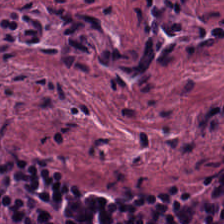H&E-stained tissue section — Showing lymphocyte aggregate.
